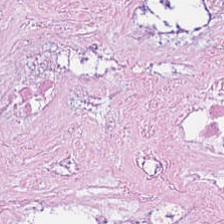Hematoxylin-and-eosin stained section — The tissue here is cellular debris.
